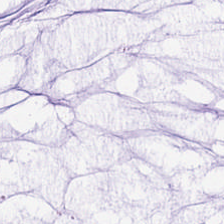Tissue: extracellular mucin.
